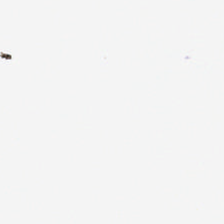FFPE · hematoxylin and eosin · 0.5 µm per pixel. The field content is background (no tissue).
